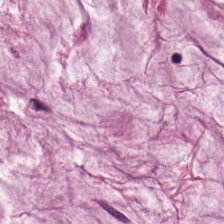Histology → mucus.
